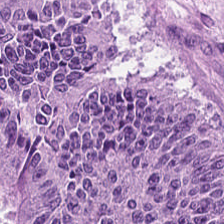Q: What tissue type is shown here?
A: Tumor epithelium.
